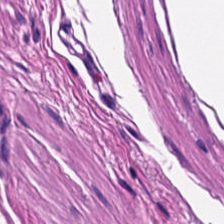Tissue type — muscularis.
